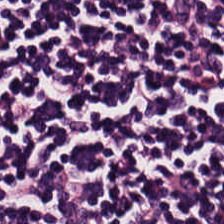H&E-stained tissue section.
This field is lymphocyte aggregate.
